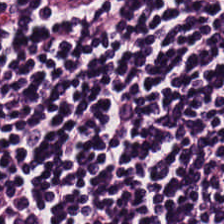Hematoxylin and eosin — Impression — lymphocyte aggregate.
